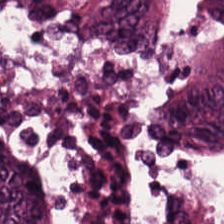H&E-stained tissue section showing colorectal adenocarcinoma.
